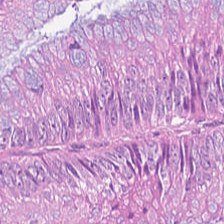Hematoxylin and eosin. Whole-slide-image patch.
This field is colorectal adenocarcinoma.
